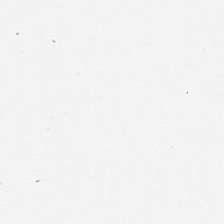H&E stain. Histology — no tissue.
